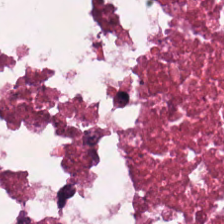Brightfield · hematoxylin and eosin.
This patch shows cellular debris.
